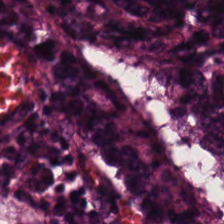{"tissue_type": "tumor epithelium"}
